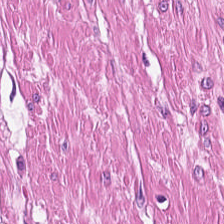H&E — {"tissue_type": "smooth-muscle tissue"}
